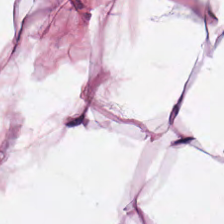Tissue class = adipose tissue.
